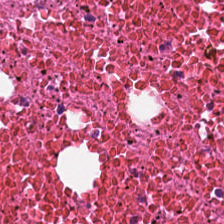H&E stain. Q: What is the predominant tissue type?
A: Necrotic debris.
